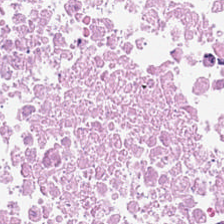Finding — necrotic debris.
